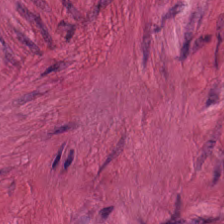H&E stain; 20× equivalent magnification.
Showing smooth muscle.
